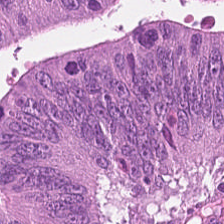224×224 pixel tile · H&E · FFPE tissue section. Tissue type: colorectal adenocarcinoma.
